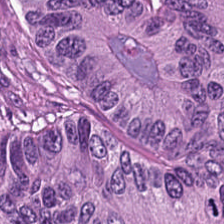H&E stain; 20× equivalent magnification.
Predominantly tumor epithelium.
